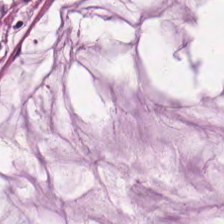Hematoxylin-and-eosin stained section. Predominant tissue = extracellular mucin.
